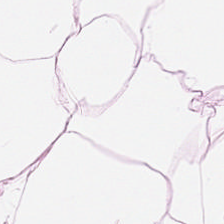Hematoxylin-and-eosin stained section. Histology — adipose.
